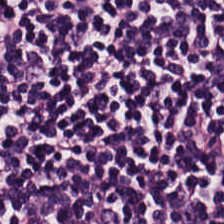Hematoxylin and eosin.
Q: Classify this patch.
A: It is lymphocytic infiltrate.
